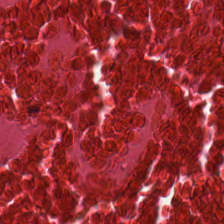Q: What does this patch show?
A: Debris.
